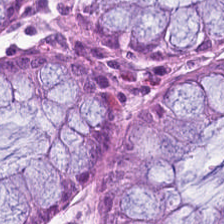224×224 px patch. H&E stain. WSI patch.
Predominantly benign colonic mucosa.
